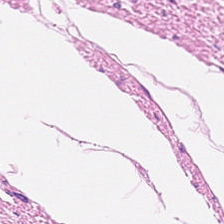H&E-stained section; the field shows smooth muscle.
